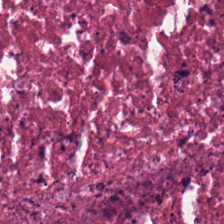Stain: H&E-stained tissue section.
Classification: debris.
